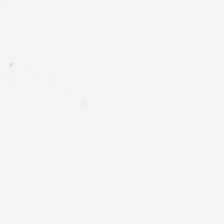The content is background.
